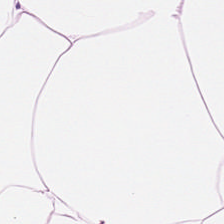H&E-stained tissue section. Classification — adipose.
